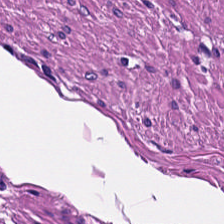224×224 px patch; FFPE; hematoxylin and eosin. Tissue = smooth muscle.
